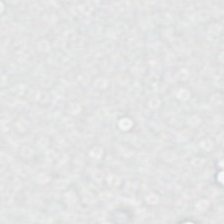Hematoxylin-and-eosin stained section · 224×224 px patch.
No tissue present; background only.
